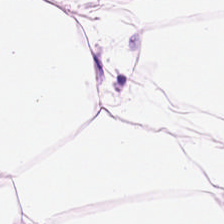Hematoxylin-and-eosin stained section · 224×224 pixel tile.
This field is fat tissue.
